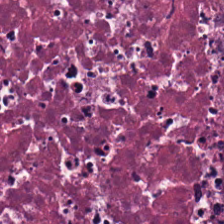Stain: H&E.
Acquisition: brightfield microscopy.
Tissue: debris.
